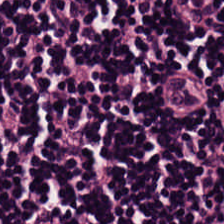Tissue = lymphocytes.
